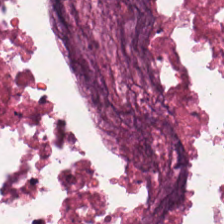H&E-stained tissue section; whole-slide-image patch; 20× equivalent magnification — Tissue class = necrotic debris.
